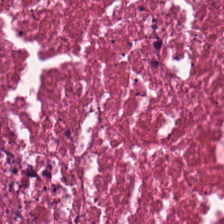Stain: H&E stain.
Preparation: FFPE tissue section.
Resolution: 0.5 µm/px.
Classification: necrotic debris.
